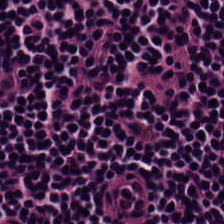Stain: H&E stain.
Tile size: 224×224 pixel tile.
Preparation: FFPE tissue section.
Tissue: lymphocytes.
